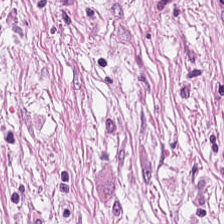H&E-stained tissue section showing tumor-associated stroma.
